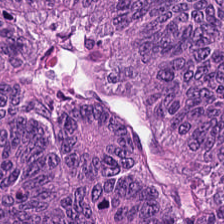Predominantly tumor epithelium.
